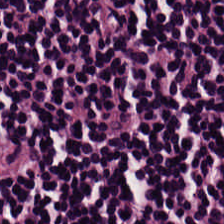Q: What does this patch show?
A: This is lymphocyte aggregate.
